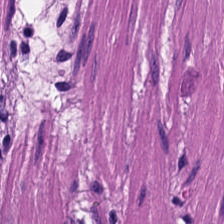224×224 px patch · FFPE · H&E stain.
Smooth-muscle tissue.
